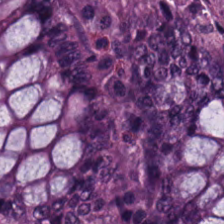Stain: H&E-stained tissue section.
Tile size: 224×224 px patch.
Tissue type: normal colonic mucosa.
